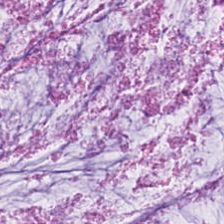Stain: H&E.
Tissue: mucin.
